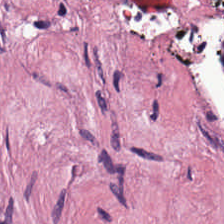Stain: H&E stain.
Classification: desmoplastic stroma.
